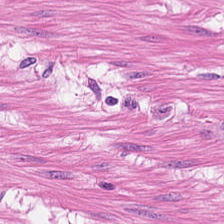Showing smooth-muscle tissue.
